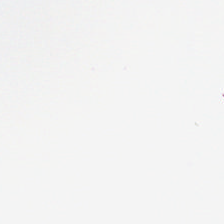H&E.
Q: What does this patch show?
A: The field shows no tissue.
